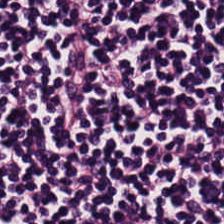Stain: H&E stain.
Tissue class: lymphocyte aggregate.
